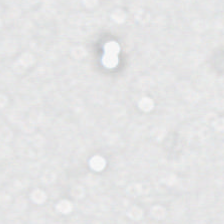Content = background.
